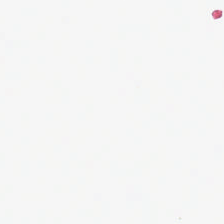0.5 µm per pixel; hematoxylin and eosin.
Q: What does this patch show?
A: It is no tissue.
